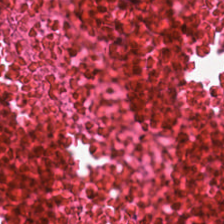Tissue: cellular debris.
